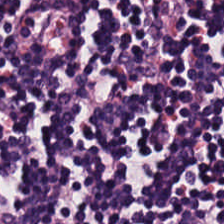H&E stain. FFPE.
The tissue type is lymphocyte aggregate.
